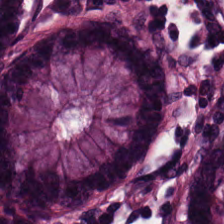224×224 px patch. 0.5 µm per pixel. H&E stain.
Q: Identify the tissue.
A: It is non-neoplastic colon mucosa.
